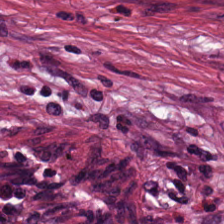Hematoxylin and eosin — Tumor stroma.
